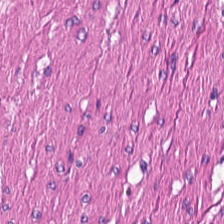WSI patch · FFPE · H&E stain. Q: What is shown in this field?
A: Smooth muscle.
